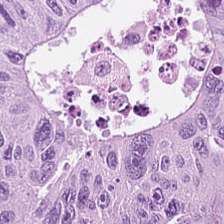Hematoxylin-and-eosin stained section.
Classification — tumor epithelium.
